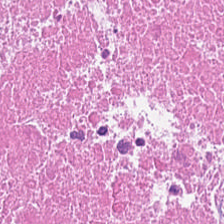H&E stain.
Predominant tissue — cellular debris.
